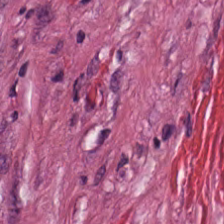H&E stain. Showing cancer-associated stroma.
